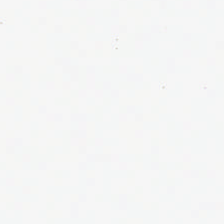H&E-stained tissue section. Q: What is shown here?
A: The field shows background (no tissue).
